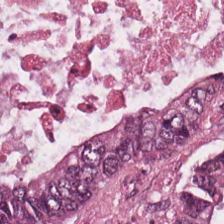The tissue here is colorectal adenocarcinoma epithelium.
